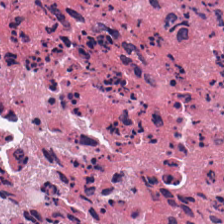H&E-stained tissue section.
Tissue — cellular debris.
